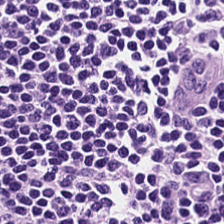Hematoxylin-and-eosin stained section. 0.5 microns per pixel. 224×224 px tile. This patch shows lymphoid infiltrate.
